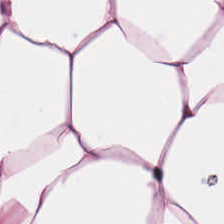H&E-stained tissue section.
Q: What is the predominant tissue type?
A: This is adipocytes.
